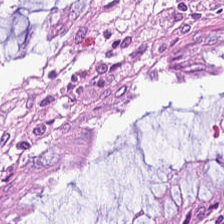Hematoxylin-and-eosin stained section. Normal colonic mucosa.
